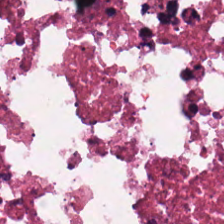Predominantly debris.
